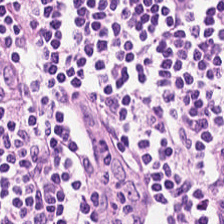H&E.
Lymphocyte aggregate.
